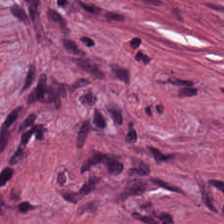Whole-slide-image patch. H&E-stained tissue section — Finding — cancer-associated stroma.
